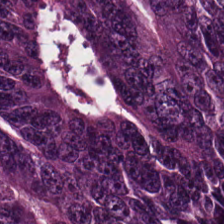224×224 px patch; hematoxylin-and-eosin stained section — The tissue class is adenocarcinoma.
